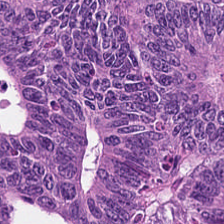Hematoxylin-and-eosin stained section — Classification: adenocarcinoma.
